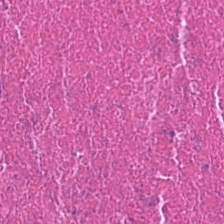Q: Identify the tissue.
A: This is debris.
